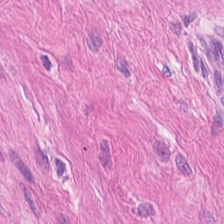0.5 µm/px; hematoxylin-and-eosin stained section. Classification: smooth muscle.
